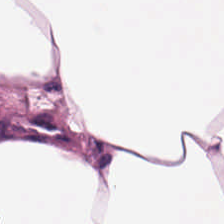Hematoxylin and eosin · 224×224 pixel tile.
This field is adipose tissue.
